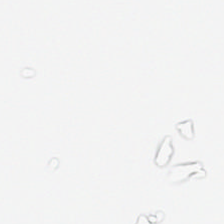H&E stain.
Background.
